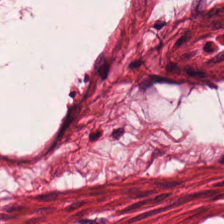Stain: H&E stain.
Tissue class: smooth muscle.
